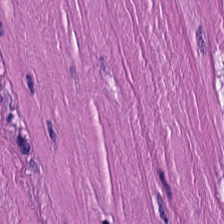H&E stain; 224×224 pixel tile; 0.5 µm/px. Finding → smooth muscle.
